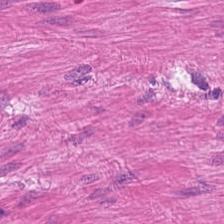Stain: hematoxylin-and-eosin stained section.
Resolution: 0.5 µm per pixel.
Predominant tissue: smooth-muscle tissue.
